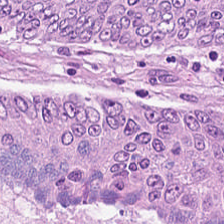Hematoxylin-and-eosin stained section — Q: Identify the tissue.
A: Malignant epithelium.
